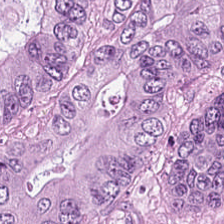H&E.
The predominant tissue is tumor epithelium.
